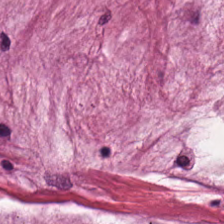The classification is mucus.
